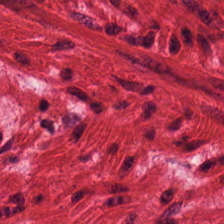FFPE tissue section · H&E — Smooth muscle.
